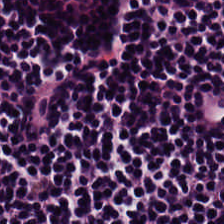0.5 µm per pixel; H&E-stained tissue section; whole-slide-image patch.
Q: Classify this patch.
A: This is lymphocytes.
